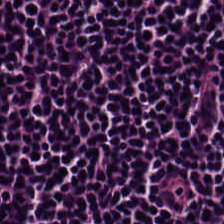Hematoxylin-and-eosin stained section. This patch shows lymphoid infiltrate.
